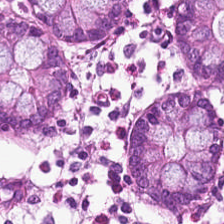Stain: hematoxylin-and-eosin stained section.
Tile size: 224×224 px tile.
Tissue class: normal colonic mucosa.
